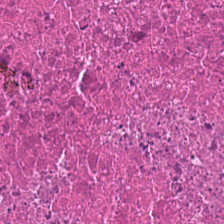H&E-stained tissue section.
Impression — debris.
